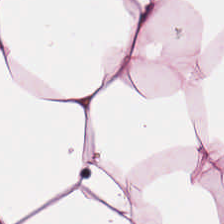Stain: H&E.
Predominant tissue: adipose.
